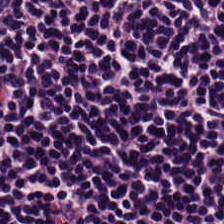H&E-stained tissue section.
The tissue here is lymphoid infiltrate.
